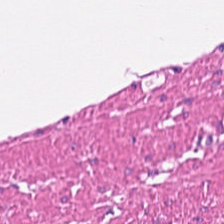Histology → smooth muscle.
